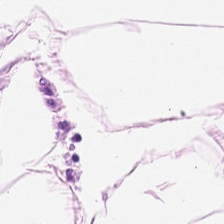FFPE tissue section · hematoxylin-and-eosin stained section — Q: What is the predominant tissue type?
A: It is adipose tissue.
